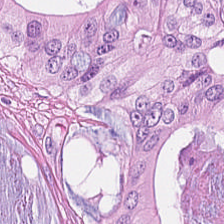Stain: H&E.
Tissue class: malignant epithelium.
